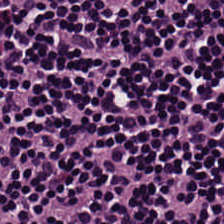FFPE; 0.5 microns per pixel; H&E stain — The predominant tissue is lymphoid infiltrate.
